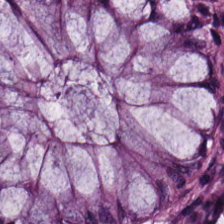H&E. Tissue = non-neoplastic colon mucosa.
